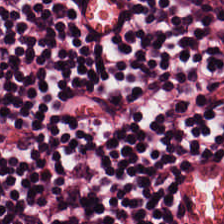H&E stain. 20× equivalent magnification — This patch shows lymphocytes.
